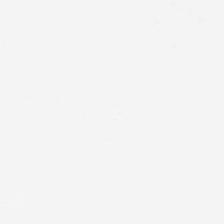20× equivalent magnification · H&E stain. No tissue present; background only.
